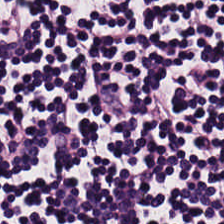0.5 µm per pixel; H&E-stained tissue section. Q: What is the predominant tissue type?
A: The field shows lymphoid infiltrate.
